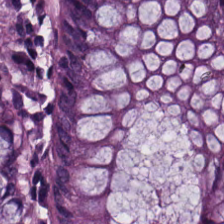Stain: H&E stain.
Acquisition: brightfield.
Preparation: FFPE tissue section.
Tissue class: normal colonic mucosa.
